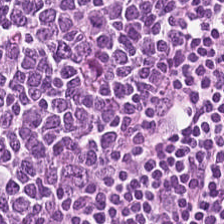H&E-stained tissue section. Showing lymphocytic infiltrate.
